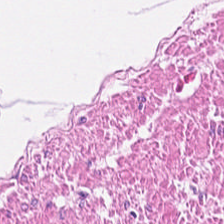H&E stain — The predominant tissue is smooth muscle.
